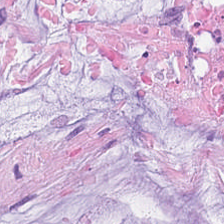Stain: H&E.
Resolution: 0.5 µm/px.
Tissue class: mucus.
